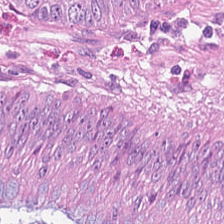The tissue class is colorectal adenocarcinoma.
